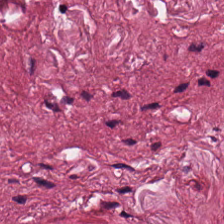224×224 px patch · 20× equivalent magnification · H&E stain — Q: What tissue type is shown here?
A: The field shows tumor stroma.
